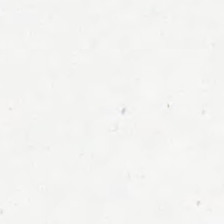224×224 pixel tile; H&E — The field content is empty background.
